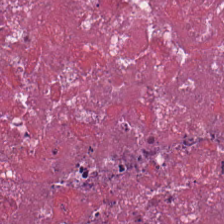Hematoxylin-and-eosin stained section. Q: What tissue is shown?
A: Necrotic debris.
